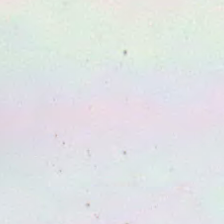No tissue.
